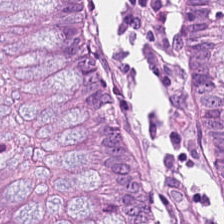Hematoxylin-and-eosin stained section.
Q: Classify this patch.
A: The field shows normal colonic mucosa.
